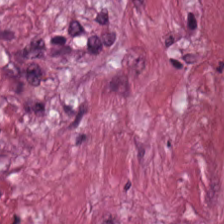Hematoxylin-and-eosin stained section.
Predominant tissue — tumor stroma.
